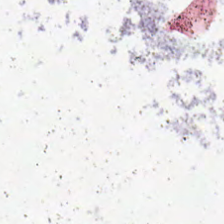This patch shows background.
